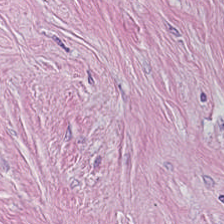H&E stain. 224×224 pixel tile. 0.5 µm/px — The tissue here is cancer-associated stroma.
